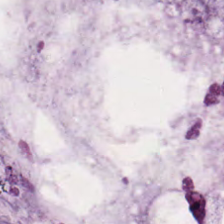H&E-stained tissue section. The tissue here is mucus.
